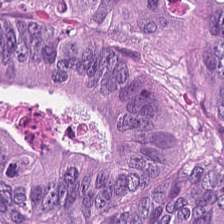Tissue type — tumor epithelium.
